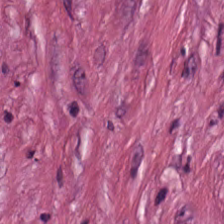H&E-stained tissue section. The predominant tissue is tumor-associated stroma.
